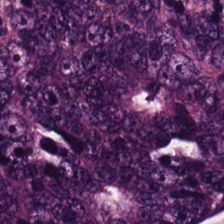Stain: H&E.
Tissue class: colorectal adenocarcinoma.
